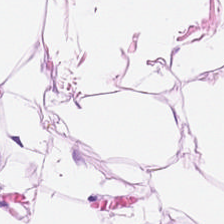H&E stain · formalin-fixed paraffin-embedded section.
Q: What is shown here?
A: This is adipose tissue.
